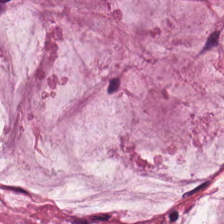224×224 pixel tile · 0.5 microns per pixel · hematoxylin-and-eosin stained section.
Q: What does this patch show?
A: The field shows extracellular mucin.
